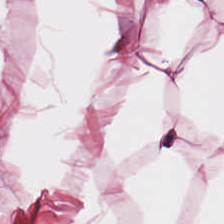Hematoxylin-and-eosin stained section. Predominant tissue: fat tissue.
